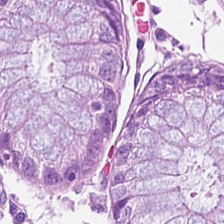Hematoxylin and eosin — Tissue = normal colon mucosa.
